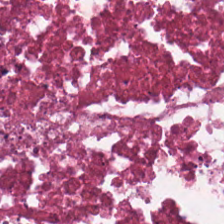H&E stain.
Tissue type — debris.
